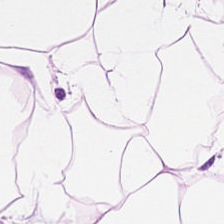Hematoxylin-and-eosin stained section. Formalin-fixed paraffin-embedded section — The predominant tissue is adipose.
